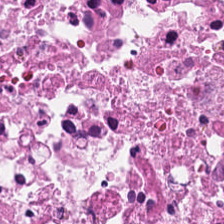Stain: hematoxylin and eosin.
Resolution: 0.5 µm/px.
Tissue type: necrotic debris.
